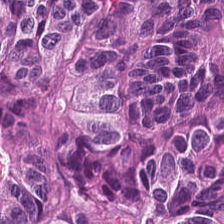Stain: H&E stain.
Preparation: FFPE tissue section.
Tissue class: tumor epithelium.
